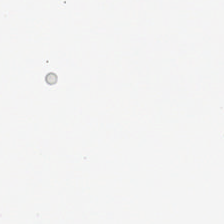H&E stain — This field is background (no tissue).
